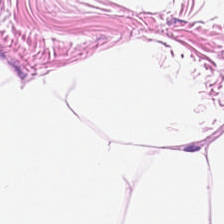Q: What tissue is shown?
A: It is adipose tissue.
